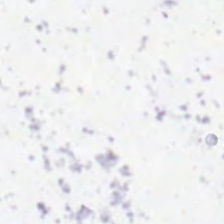Hematoxylin-and-eosin stained section · brightfield microscopy.
Impression — background.
